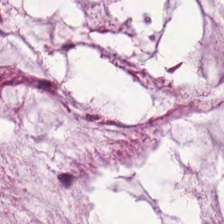H&E-stained section; the field shows mucus.
